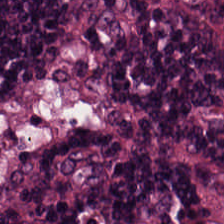Hematoxylin and eosin; formalin-fixed paraffin-embedded section; 20× equivalent magnification. Impression → lymphocyte aggregate.
